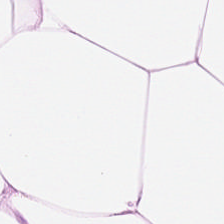Formalin-fixed paraffin-embedded section; H&E stain; 224×224 pixel tile.
Q: What type of tissue is this?
A: It is adipose.
